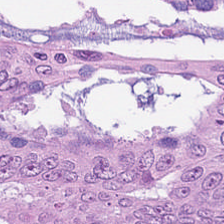H&E-stained tissue section.
Impression — tumor epithelium.
